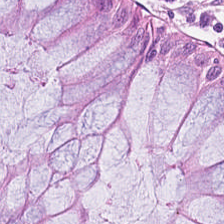Brightfield · 224×224 px tile · H&E. Benign colonic mucosa.
